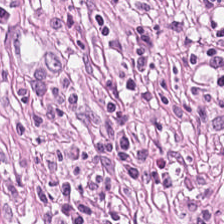Formalin-fixed paraffin-embedded section; H&E stain; 0.5 microns per pixel — Showing tumor stroma.
